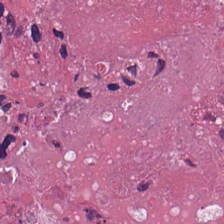H&E.
Q: What is shown here?
A: This is necrotic debris.
